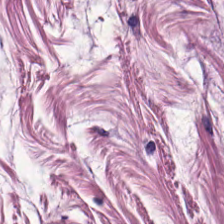H&E-stained tissue section.
Histology → muscularis.
